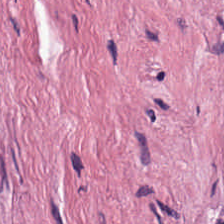Stain: H&E stain.
Tissue class: desmoplastic stroma.
